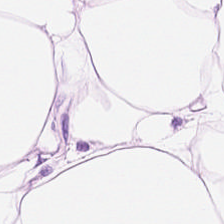Hematoxylin-and-eosin stained section. Q: What is the predominant tissue type?
A: It is fat tissue.
